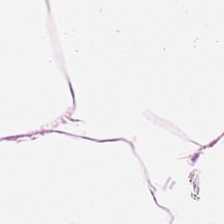H&E. Showing adipocytes.
